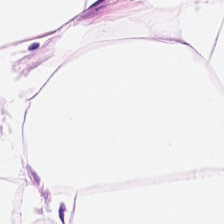This field is adipocytes.
